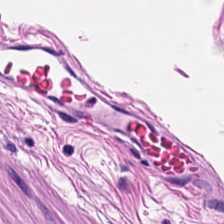H&E-stained tissue section.
This patch shows smooth-muscle tissue.
